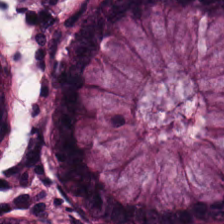H&E stain · 0.5 microns per pixel · formalin-fixed paraffin-embedded section. Q: Classify this patch.
A: The field shows benign colonic mucosa.
